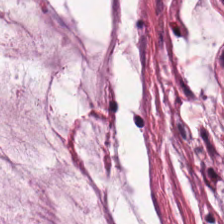H&E stain.
Predominantly extracellular mucin.
